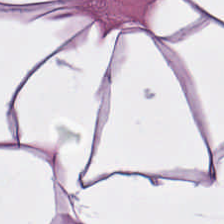This patch shows adipose tissue.
